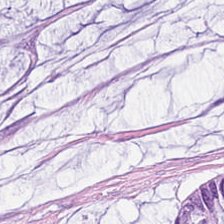H&E — {"tissue_type": "extracellular mucin"}
